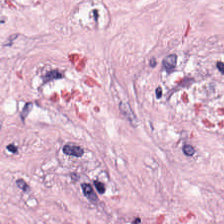0.5 µm/px. 224×224 px tile. H&E — This patch shows desmoplastic stroma.
